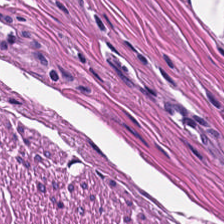Hematoxylin and eosin · whole-slide-image patch. Classification = smooth-muscle tissue.
